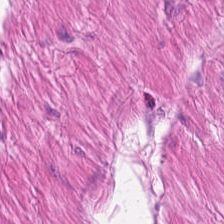Hematoxylin and eosin.
Q: What type of tissue is this?
A: Smooth-muscle tissue.
